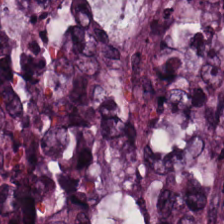H&E-stained tissue section. Showing colorectal adenocarcinoma epithelium.
